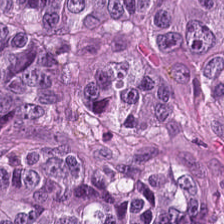H&E-stained tissue section; WSI patch; 224×224 px patch — Q: Classify this patch.
A: Adenocarcinoma.
